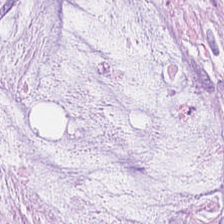H&E stain; brightfield. The tissue here is mucin.
